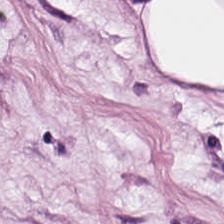Histology — adipocytes.
